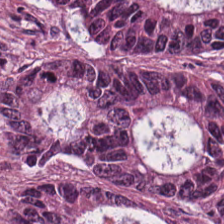H&E · brightfield. Showing colorectal adenocarcinoma epithelium.
